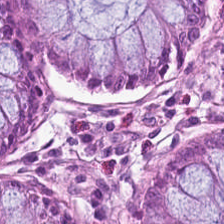0.5 µm per pixel · hematoxylin-and-eosin stained section · formalin-fixed paraffin-embedded section.
The predominant tissue is benign colonic mucosa.
